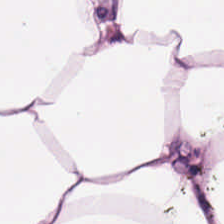H&E-stained tissue section — Tissue: adipose.
